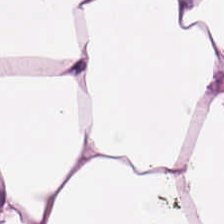H&E — Predominantly adipocytes.
